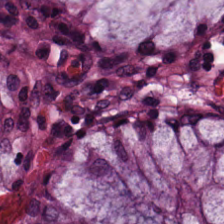H&E stain — Normal colonic mucosa.
